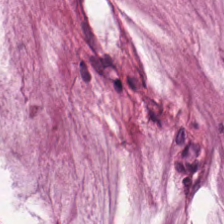H&E. Predominantly mucus.
